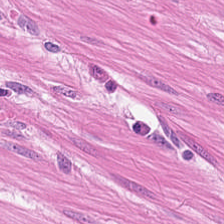Hematoxylin and eosin. 0.5 µm per pixel. Tissue type: muscularis.
